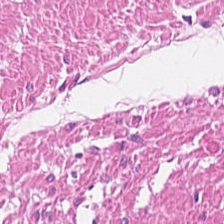Hematoxylin and eosin; 0.5 microns per pixel.
Classification = muscularis.
